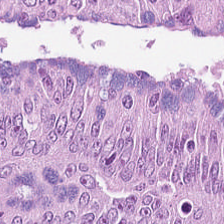Hematoxylin-and-eosin stained section. Formalin-fixed paraffin-embedded section. Tissue: malignant epithelium.
